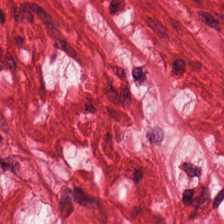Brightfield; hematoxylin-and-eosin stained section; 0.5 µm per pixel — Predominant tissue — smooth muscle.
